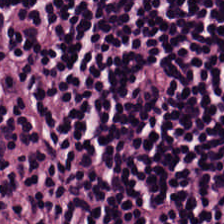H&E-stained tissue section — {"tissue_type": "lymphocytic infiltrate"}
